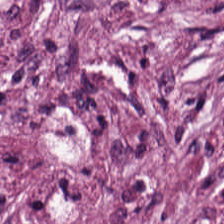Stain: H&E stain.
Tissue class: desmoplastic stroma.
